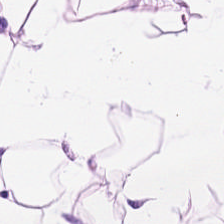Stain: hematoxylin-and-eosin stained section.
Tissue type: adipose.
